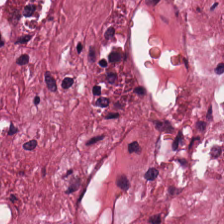Hematoxylin and eosin. Predominant tissue = desmoplastic stroma.
